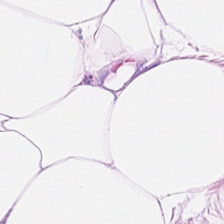Stain: H&E.
Preparation: formalin-fixed paraffin-embedded section.
Resolution: 0.5 µm/px.
Tissue class: adipose tissue.
